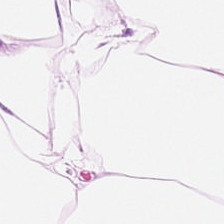H&E-stained tissue section.
Q: What is the predominant tissue type?
A: This is adipocytes.
